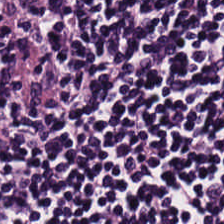Showing lymphocyte aggregate.
